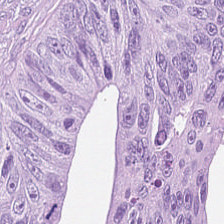Tissue class = malignant epithelium.
